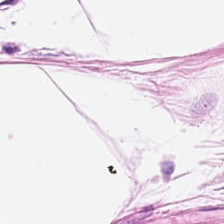H&E-stained tissue section — Impression — adipose tissue.
